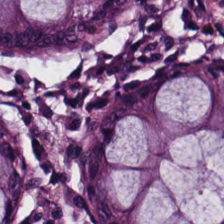Hematoxylin-and-eosin stained section.
The predominant tissue is normal colon mucosa.
